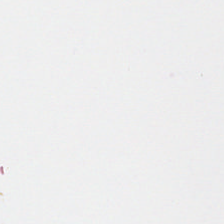Stain: H&E-stained tissue section.
Field content: background (no tissue).
